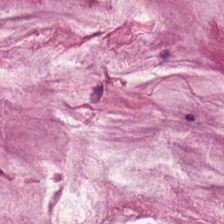Brightfield. Hematoxylin and eosin.
Extracellular mucin.
